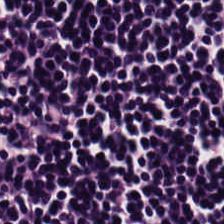Hematoxylin-and-eosin stained section. FFPE tissue section. Q: What tissue type is shown here?
A: Lymphoid infiltrate.
